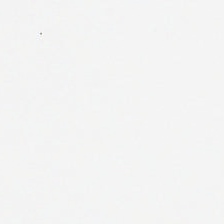WSI patch · hematoxylin-and-eosin stained section. Finding → background.
